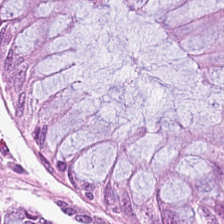Hematoxylin and eosin. Q: Classify this patch.
A: Normal colonic mucosa.
